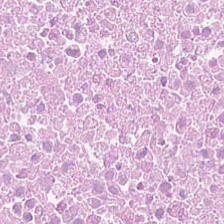H&E. This field is cellular debris.
